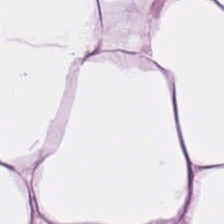224×224 pixel tile; hematoxylin and eosin; brightfield microscopy. This field is fat tissue.
